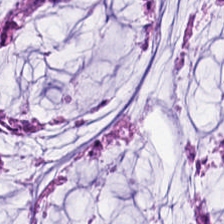Whole-slide-image patch; H&E stain. The predominant tissue is mucus.
